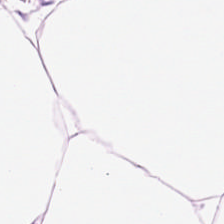0.5 microns per pixel; H&E stain; formalin-fixed paraffin-embedded section.
Showing fat tissue.
